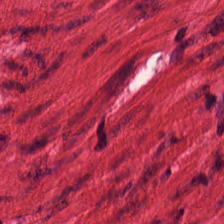H&E-stained tissue section.
Smooth-muscle tissue.
